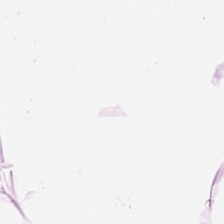H&E. 224×224 px tile. The tissue here is adipose.
